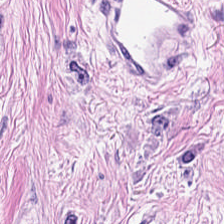H&E-stained tissue section. Formalin-fixed paraffin-embedded section — Impression — tumor stroma.
